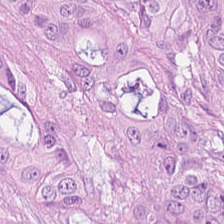FFPE tissue section. Hematoxylin and eosin — Tissue — colorectal adenocarcinoma epithelium.
